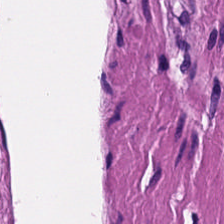Hematoxylin and eosin.
This field is smooth muscle.
